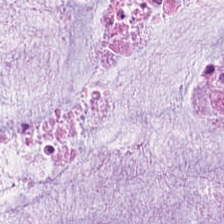Predominantly mucus.
